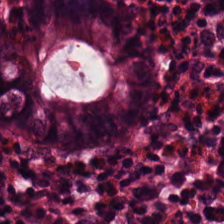Hematoxylin and eosin. Q: What does this patch show?
A: This is benign colonic mucosa.
